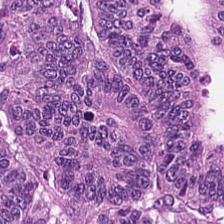Predominantly adenocarcinoma.
